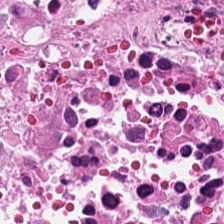Hematoxylin and eosin. The tissue here is debris.
